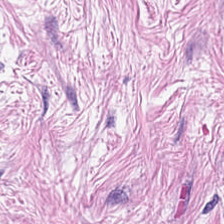Stain: H&E stain.
Tissue class: tumor stroma.
